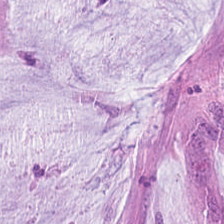Hematoxylin-and-eosin stained section — Finding → extracellular mucin.
